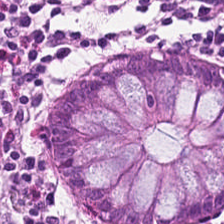0.5 microns per pixel. H&E stain.
Q: What is shown here?
A: It is normal colonic mucosa.
